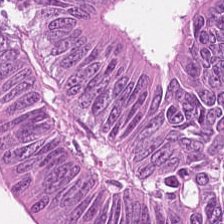H&E stain — Q: What type of tissue is this?
A: Adenocarcinoma.
